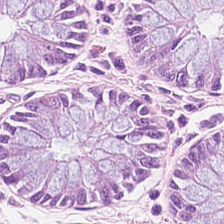Tissue class = normal colonic mucosa.
